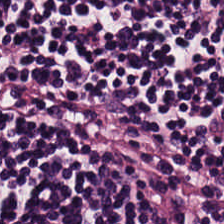Hematoxylin and eosin.
Classification — lymphocytic infiltrate.
